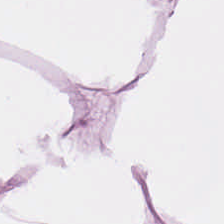Adipocytes.
